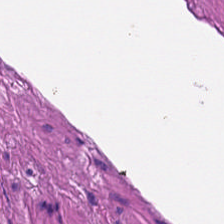Stain: H&E stain.
Tissue type: muscularis.
